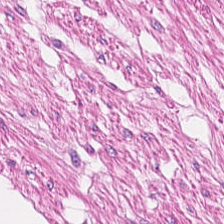The tissue is smooth-muscle tissue.
